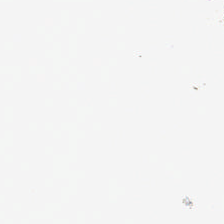H&E-stained tissue section. 224×224 px patch. Brightfield.
Background.
